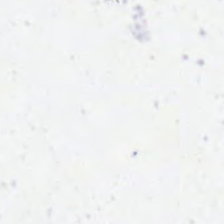H&E-stained tissue section.
Classification = no tissue.
